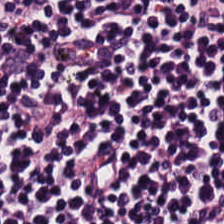H&E-stained tissue section. FFPE. Showing lymphocyte aggregate.
